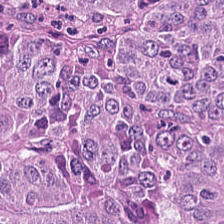Predominantly malignant epithelium.
